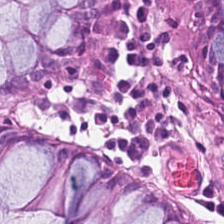Stain: H&E-stained tissue section.
Tissue type: normal colonic mucosa.
